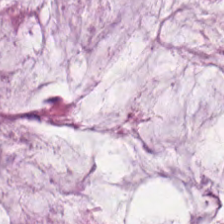H&E — The tissue here is extracellular mucin.
